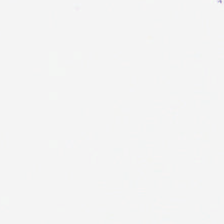This patch shows empty background.
